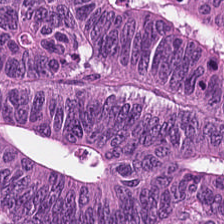Stain: H&E.
Tissue class: adenocarcinoma.
